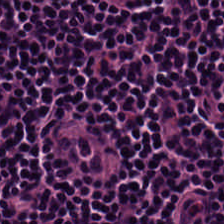Brightfield microscopy. H&E-stained tissue section.
Histology → lymphocyte aggregate.
